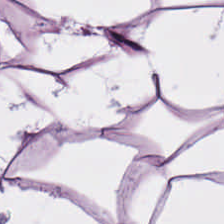Tissue class: fat tissue.
